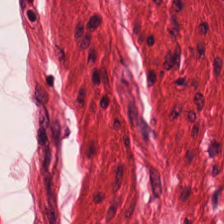H&E stain · 0.5 microns per pixel.
Q: Classify this patch.
A: Muscularis.
